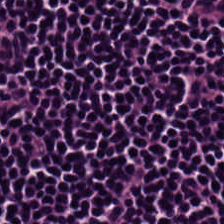Hematoxylin-and-eosin stained section. 0.5 µm/px. FFPE tissue section. Predominantly lymphoid infiltrate.
